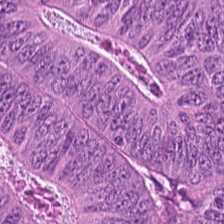Hematoxylin-and-eosin stained section.
Tissue: malignant epithelium.
